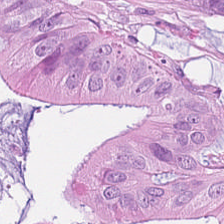Predominantly tumor epithelium.
